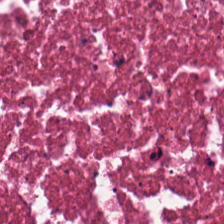Whole-slide-image patch; 0.5 microns per pixel; H&E stain.
Q: What does this patch show?
A: Necrotic debris.
